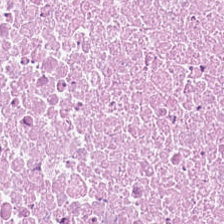H&E stain; 224×224 pixel tile.
Tissue type = debris.
